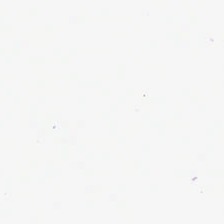Classification: empty background.
